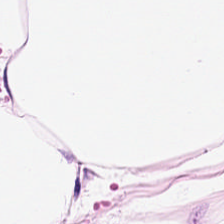H&E-stained tissue section · 0.5 microns per pixel.
Tissue — fat tissue.
